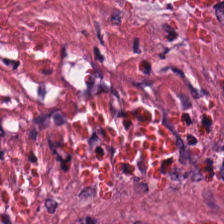H&E-stained tissue section. Tissue: tumor-associated stroma.
